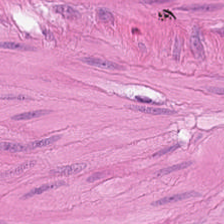Q: Classify this patch.
A: This is smooth muscle.
